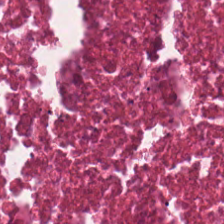FFPE; H&E stain.
Cellular debris.
